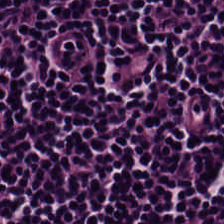Impression — lymphocytic infiltrate.
